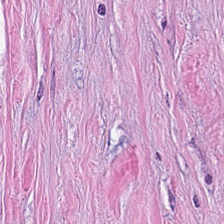H&E. Q: Classify this patch.
A: This is desmoplastic stroma.
